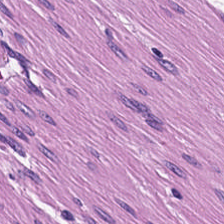Hematoxylin-and-eosin section: smooth-muscle tissue.
